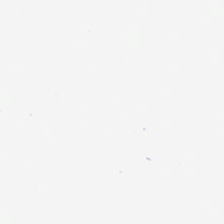Formalin-fixed paraffin-embedded section; H&E-stained tissue section; 224×224 px patch. Background — no tissue in this field.
